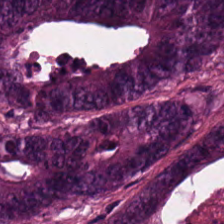H&E stain.
Q: What tissue is shown?
A: Tumor epithelium.
